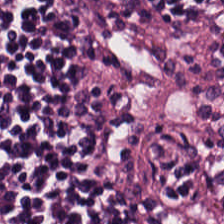H&E-stained tissue section; brightfield microscopy — Predominant tissue = lymphocytes.
